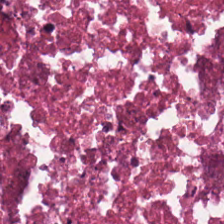Brightfield. H&E. Formalin-fixed paraffin-embedded section. Q: What is the predominant tissue type?
A: It is cellular debris.
